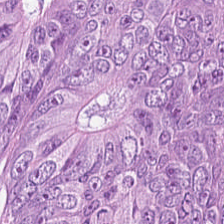Hematoxylin-and-eosin stained section. WSI patch. 224×224 px tile. Impression → colorectal adenocarcinoma epithelium.
